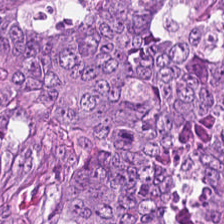H&E · 224×224 px tile — Classification = tumor epithelium.
